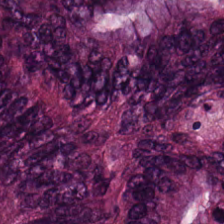Stain: hematoxylin-and-eosin stained section.
Resolution: 0.5 microns per pixel.
Acquisition: brightfield.
Predominant tissue: adenocarcinoma.
